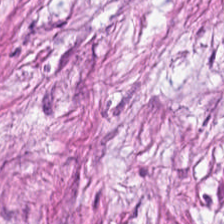Brightfield microscopy. 0.5 microns per pixel. H&E — The classification is cancer-associated stroma.
